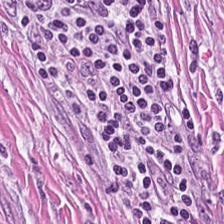FFPE; H&E. The tissue class is cancer-associated stroma.
